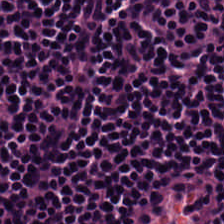Hematoxylin-and-eosin stained section · brightfield — The predominant tissue is lymphocytic infiltrate.
